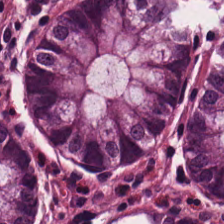H&E-stained tissue section showing non-neoplastic colon mucosa.
